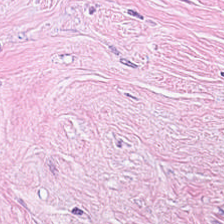Tissue class = tumor-associated stroma.
